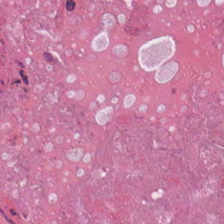{"tissue_type": "debris"}
